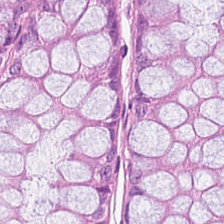H&E-stained tissue section · 224×224 px tile.
Histology — non-neoplastic colon mucosa.
